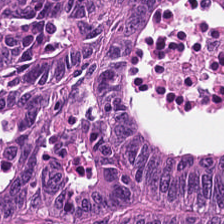0.5 µm per pixel · H&E-stained tissue section.
This field is colorectal adenocarcinoma.
